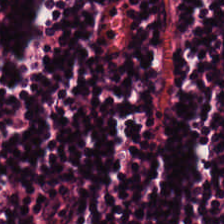Stain: H&E.
Predominant tissue: lymphocytes.
